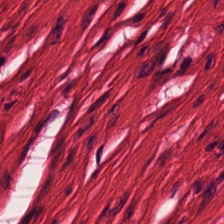Hematoxylin and eosin. 224×224 px tile.
Predominant tissue — muscularis.
